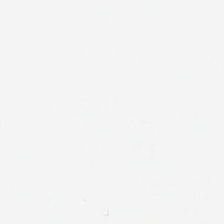Empty field — no tissue.
